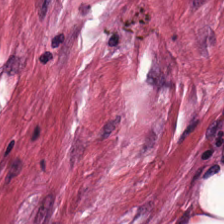H&E stain.
{"tissue_type": "cancer-associated stroma"}
